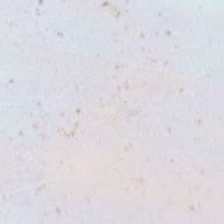Hematoxylin-and-eosin stained section. Brightfield microscopy. 224×224 px tile. No tissue present; background only.
